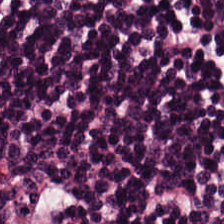FFPE · H&E.
Showing lymphocytic infiltrate.
